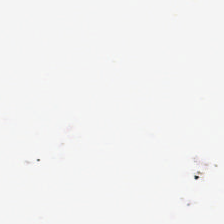224×224 px tile; H&E stain — This patch shows background.
